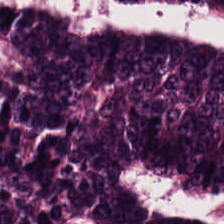Hematoxylin-and-eosin stained section. Impression → colorectal adenocarcinoma epithelium.
